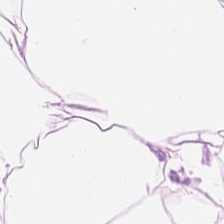WSI patch · H&E stain — Histology → adipose.
